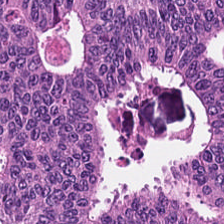Showing colorectal adenocarcinoma.
